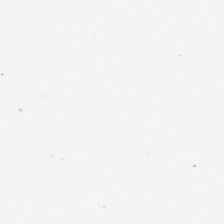Field content — background (no tissue).
